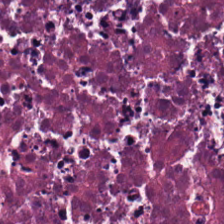0.5 µm/px. Hematoxylin and eosin.
Finding → cellular debris.
